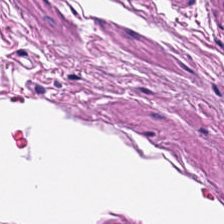Hematoxylin and eosin. Q: Identify the tissue.
A: Smooth-muscle tissue.
